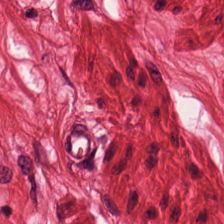Hematoxylin and eosin.
Predominant tissue: smooth-muscle tissue.
